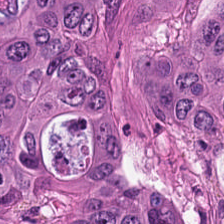0.5 µm/px · H&E — Showing malignant epithelium.
